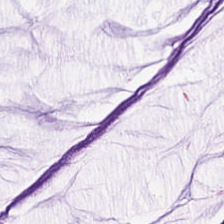224×224 px patch · hematoxylin-and-eosin stained section · FFPE tissue section.
Tissue: extracellular mucin.
